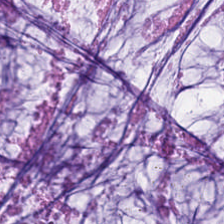Predominant tissue = mucus.
